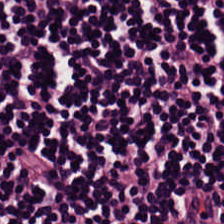The predominant tissue is lymphocytic infiltrate.
